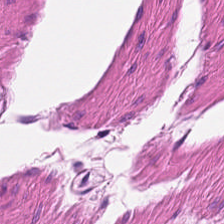Stain: H&E stain.
Predominant tissue: muscularis.
